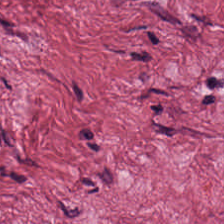Hematoxylin-and-eosin stained section — Finding → tumor stroma.
